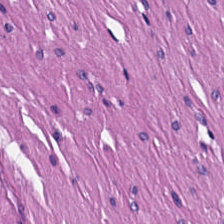Stain: H&E stain.
Tissue: muscularis.
